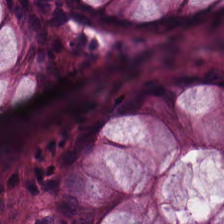Stain: hematoxylin and eosin.
Classification: normal colon mucosa.
